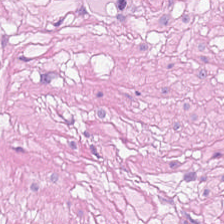Tissue type: smooth muscle.
